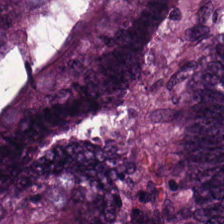H&E — This patch shows colorectal adenocarcinoma epithelium.
